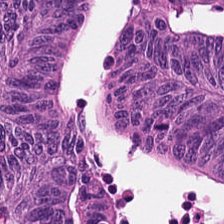Formalin-fixed paraffin-embedded section; 20× equivalent magnification; hematoxylin-and-eosin stained section.
Predominantly malignant epithelium.
